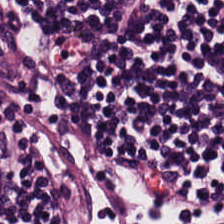H&E stain — {"tissue_type": "lymphoid infiltrate"}
